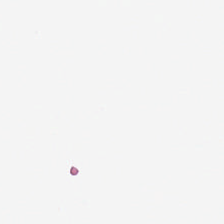Q: What is shown in this field?
A: It is empty background.
